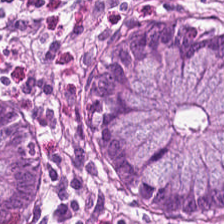Hematoxylin-and-eosin stained section — Q: Identify the tissue.
A: It is normal colon mucosa.
